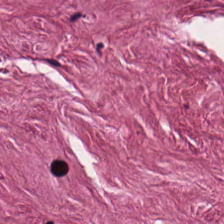Formalin-fixed paraffin-embedded section · H&E · brightfield microscopy. Predominant tissue — desmoplastic stroma.
